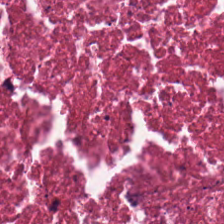H&E-stained section; the field shows necrotic debris.
